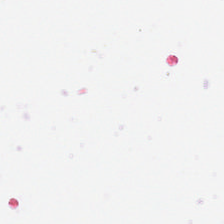H&E stain · WSI patch — This patch shows empty background.
